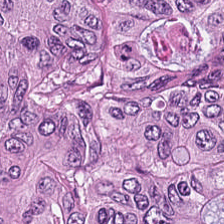Tissue class — malignant epithelium.
